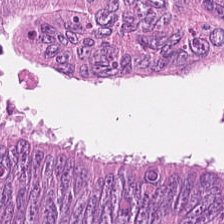Stain: H&E.
Tissue type: adenocarcinoma.
